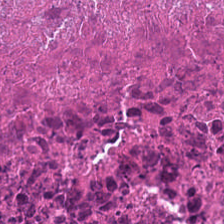Hematoxylin and eosin — Q: What tissue type is shown here?
A: Debris.
